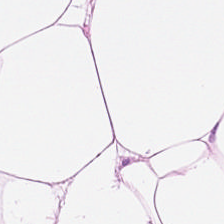FFPE tissue section · hematoxylin-and-eosin stained section — This patch shows adipocytes.
